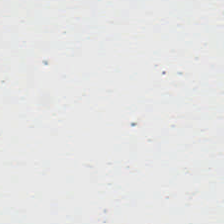H&E-stained tissue section; 0.5 microns per pixel. Empty field — no tissue.
